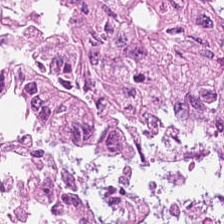0.5 µm/px. H&E-stained tissue section — Tissue type: colorectal adenocarcinoma epithelium.
